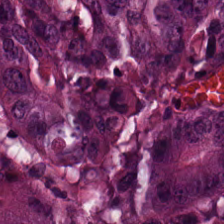Formalin-fixed paraffin-embedded section; H&E-stained tissue section. Q: Identify the tissue.
A: Adenocarcinoma.
